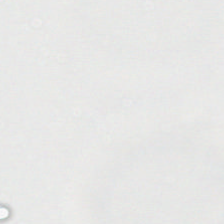Hematoxylin and eosin — {"content": "background (no tissue)"}
